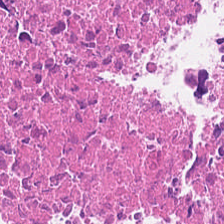Hematoxylin and eosin; 0.5 µm per pixel; FFPE tissue section — Tissue type — cellular debris.
